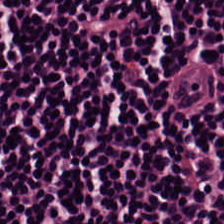Showing lymphocytic infiltrate.
